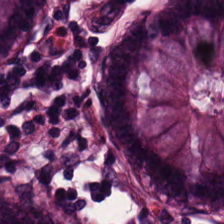20× equivalent magnification; H&E-stained tissue section.
Tissue type — normal colonic mucosa.
